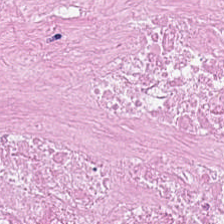Q: What does this patch show?
A: This is necrotic debris.
